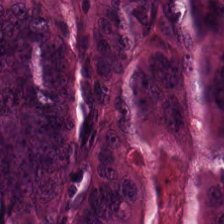Whole-slide-image patch · H&E. Impression → colorectal adenocarcinoma epithelium.
